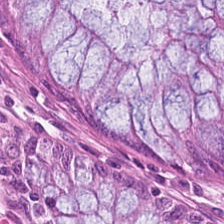224×224 px tile; H&E. Predominantly non-neoplastic colon mucosa.
